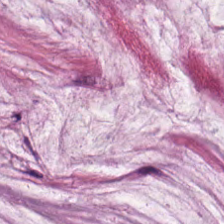H&E stain. FFPE tissue section — Extracellular mucin.
